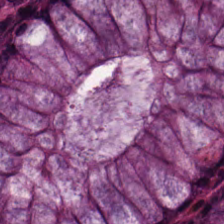Whole-slide-image patch · H&E. Tissue class — benign colonic mucosa.
